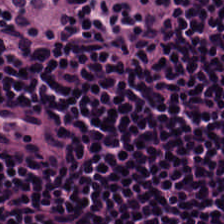H&E patch showing lymphocytes.
